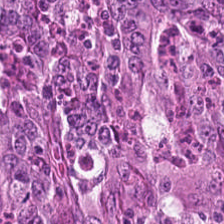H&E-stained tissue section — Showing colorectal adenocarcinoma.
